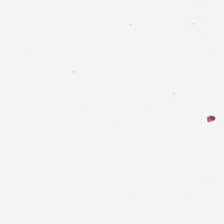Stain: H&E stain.
Classification: background (no tissue).
